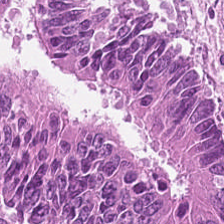{"tissue_type": "colorectal adenocarcinoma epithelium"}
